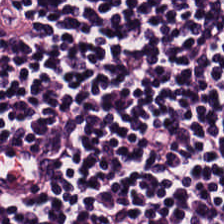224×224 pixel tile; hematoxylin and eosin. Tissue: lymphocytes.
